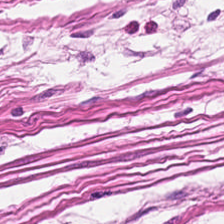H&E stain.
Tissue type = muscularis.
